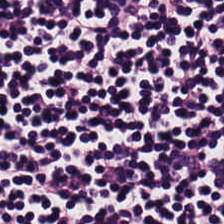H&E; 224×224 px patch — Tissue class = lymphocytes.
